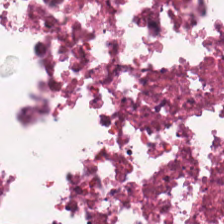224×224 px tile; H&E stain; 20× equivalent magnification — The tissue here is necrotic debris.
